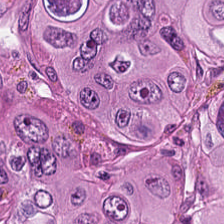Formalin-fixed paraffin-embedded section · hematoxylin-and-eosin stained section. Histology → malignant epithelium.
